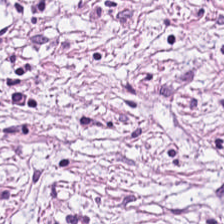Hematoxylin and eosin.
Tissue type — desmoplastic stroma.
